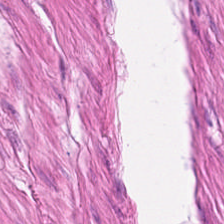Brightfield · H&E.
{"tissue_type": "muscularis"}
